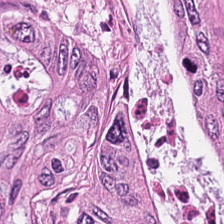Tumor epithelium.
